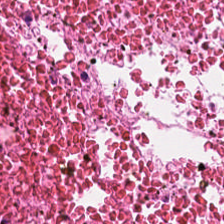H&E. Formalin-fixed paraffin-embedded section. 224×224 px tile. Finding — necrotic debris.
